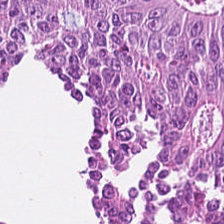Hematoxylin and eosin — {"tissue_type": "adenocarcinoma"}
